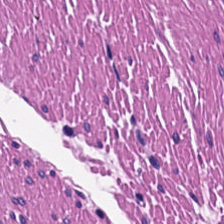Hematoxylin-and-eosin stained section. Q: What does this patch show?
A: It is muscularis.
